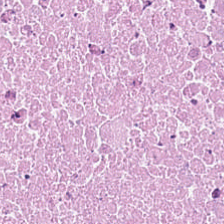H&E stain.
Q: What is the predominant tissue type?
A: The field shows cellular debris.
